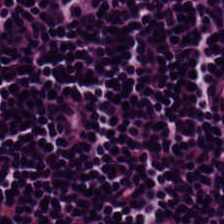Hematoxylin-and-eosin stained section · formalin-fixed paraffin-embedded section. Predominantly lymphoid infiltrate.
